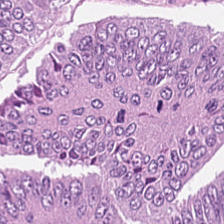H&E; formalin-fixed paraffin-embedded section. Showing tumor epithelium.
